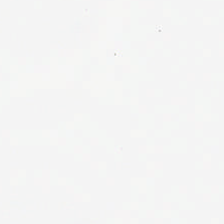No tissue present; background only.
